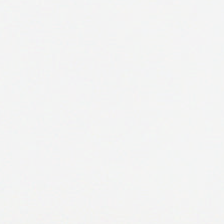Brightfield microscopy · hematoxylin and eosin · FFPE — No tissue present; background only.
